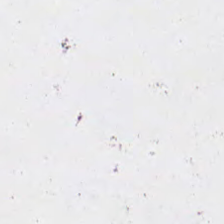Stain: H&E-stained tissue section.
Classification: no tissue.
